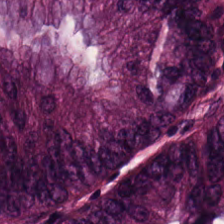Whole-slide-image patch. FFPE tissue section. Hematoxylin and eosin. Impression — malignant epithelium.
